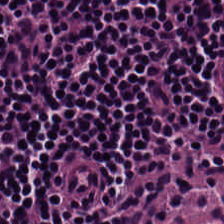Hematoxylin and eosin · 224×224 pixel tile. This field is lymphocyte aggregate.
